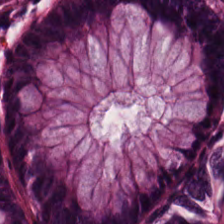Hematoxylin-and-eosin stained section; formalin-fixed paraffin-embedded section. The tissue here is non-neoplastic colon mucosa.
